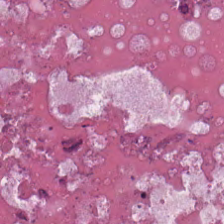H&E-stained tissue section — {"tissue_type": "necrotic debris"}
